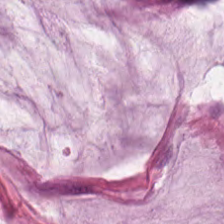H&E.
Impression → extracellular mucin.
